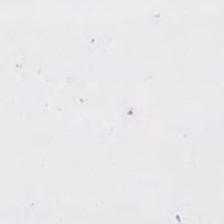Q: What is shown here?
A: It is empty background.
